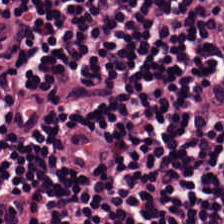H&E-stained tissue section.
Predominantly lymphocytic infiltrate.
